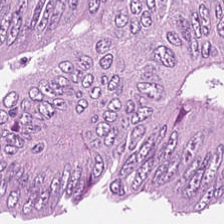Hematoxylin-and-eosin section: tumor epithelium.
